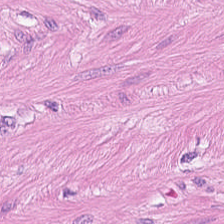Hematoxylin-and-eosin stained section.
Smooth-muscle tissue.
